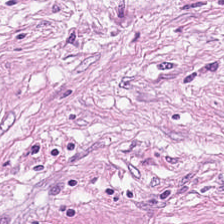Formalin-fixed paraffin-embedded section; hematoxylin and eosin — This patch shows cancer-associated stroma.
